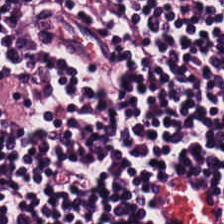Stain: hematoxylin-and-eosin stained section.
Preparation: FFPE tissue section.
Predominant tissue: lymphocytes.
